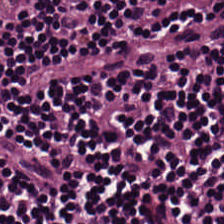Hematoxylin-and-eosin stained section.
The tissue here is lymphocyte aggregate.
